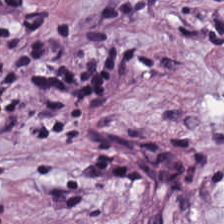Hematoxylin-and-eosin stained section. The predominant tissue is tumor stroma.
